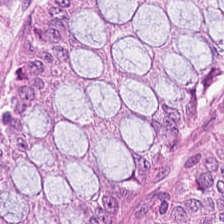WSI patch · H&E-stained tissue section — Predominant tissue: benign colonic mucosa.
